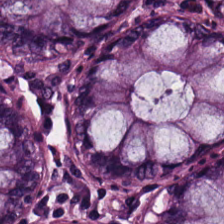0.5 µm per pixel. 224×224 px patch. H&E-stained tissue section. This field is normal colonic mucosa.
